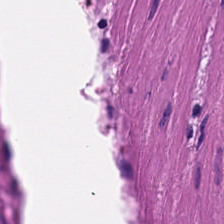Q: What type of tissue is this?
A: It is smooth muscle.
